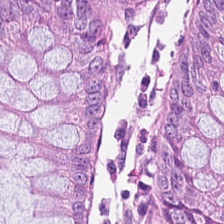Hematoxylin and eosin.
The tissue is benign colonic mucosa.
